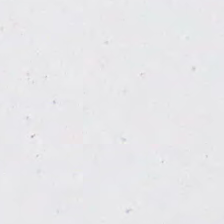H&E-stained tissue section · WSI patch · 0.5 microns per pixel.
{"content": "background (no tissue)"}
